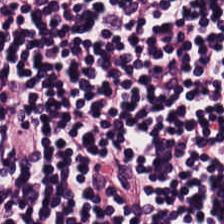Hematoxylin and eosin; 0.5 µm/px — Tissue class: lymphoid infiltrate.
